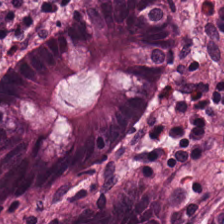Stain: H&E.
Predominant tissue: benign colonic mucosa.
